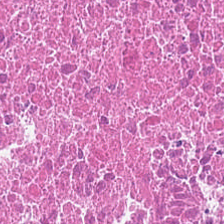Stain: hematoxylin and eosin.
Tissue type: debris.
